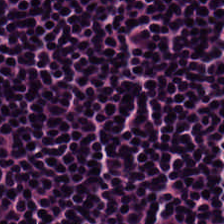Finding → lymphocytic infiltrate.
